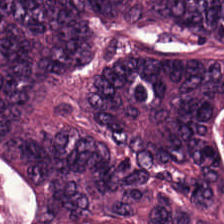Whole-slide-image patch; 224×224 px patch; H&E-stained tissue section.
Showing colorectal adenocarcinoma.
